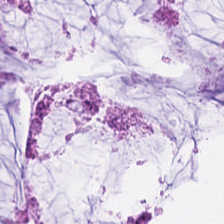H&E. WSI patch. 224×224 pixel tile.
Finding — extracellular mucin.
